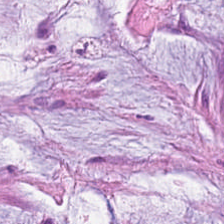H&E. Finding — mucus.
